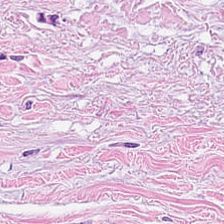H&E · 224×224 px tile. This field is cancer-associated stroma.
